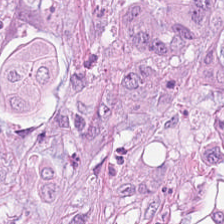Hematoxylin and eosin. Brightfield. Tumor epithelium.
